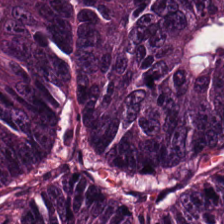Formalin-fixed paraffin-embedded section · H&E stain.
Q: Classify this patch.
A: It is tumor epithelium.
